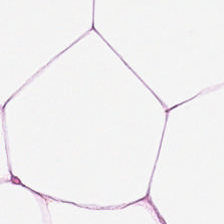Hematoxylin and eosin. Adipose.
